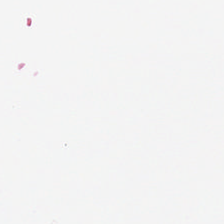This field is background (no tissue).
